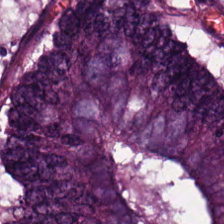Whole-slide-image patch; H&E; 0.5 µm/px. Predominantly colorectal adenocarcinoma.
